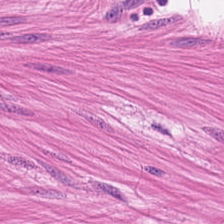Hematoxylin-and-eosin stained section. Classification: smooth-muscle tissue.
